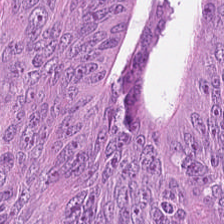Stain: hematoxylin and eosin.
Tile size: 224×224 px patch.
Tissue type: adenocarcinoma.
